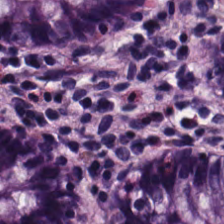Stain: H&E.
Tissue: benign colonic mucosa.
